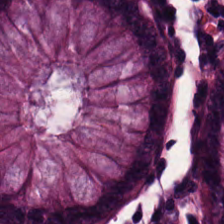0.5 µm per pixel · H&E-stained tissue section · 224×224 pixel tile — Impression → benign colonic mucosa.
